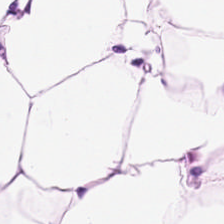H&E-stained tissue section · formalin-fixed paraffin-embedded section · 224×224 px patch. Tissue type = fat tissue.
